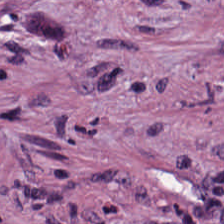Stain: hematoxylin-and-eosin stained section.
Predominant tissue: cancer-associated stroma.
